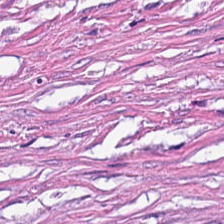Hematoxylin-and-eosin stained section.
The predominant tissue is tumor-associated stroma.
